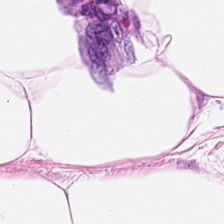224×224 px patch · H&E. {"tissue_type": "fat tissue"}
